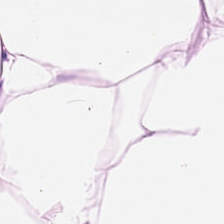H&E stain. This field is adipose tissue.
